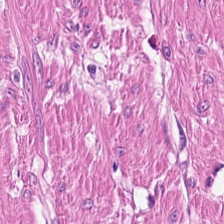Hematoxylin-and-eosin section: muscularis.
